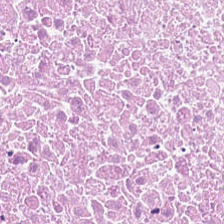Hematoxylin and eosin. WSI patch. 0.5 µm/px — Classification: debris.
